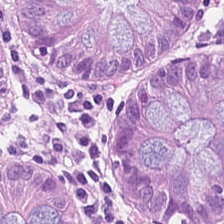Hematoxylin-and-eosin stained section — Showing normal colon mucosa.
